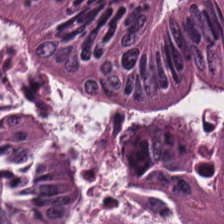H&E — This field is tumor epithelium.
